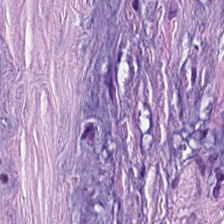H&E-stained tissue section. This field is desmoplastic stroma.
